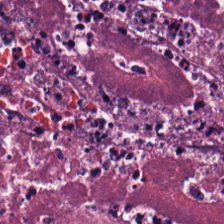Showing necrotic debris.
